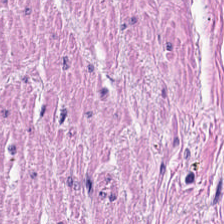Whole-slide-image patch · 0.5 µm/px · hematoxylin-and-eosin stained section.
Q: What tissue is shown?
A: It is smooth-muscle tissue.
